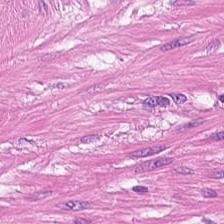{"tissue_type": "smooth-muscle tissue"}
